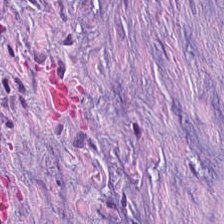Histology → cancer-associated stroma.
